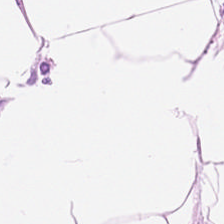The classification is fat tissue.
